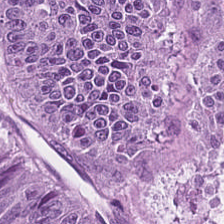20× equivalent magnification; H&E. This patch shows colorectal adenocarcinoma epithelium.
